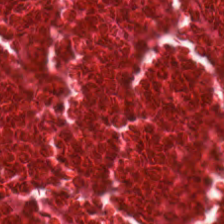H&E — debris.
